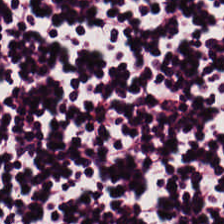224×224 px tile · H&E.
Classification — lymphocytic infiltrate.
